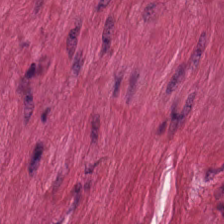Hematoxylin and eosin · 0.5 µm/px — Smooth muscle.
